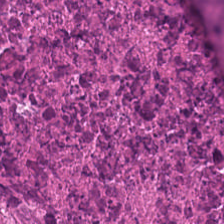Hematoxylin-and-eosin stained section. Histology — debris.
